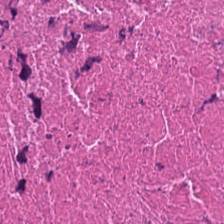H&E.
{"tissue_type": "cellular debris"}
